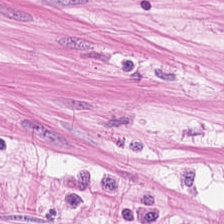Tissue class: smooth muscle.
